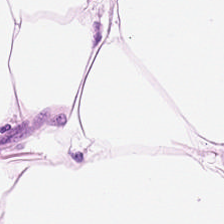H&E-stained tissue section. The tissue here is adipocytes.
